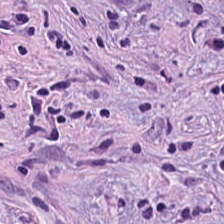224×224 pixel tile; H&E.
Tissue — desmoplastic stroma.
